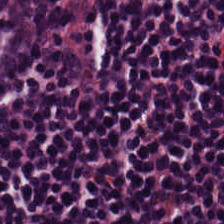Hematoxylin and eosin. The predominant tissue is lymphoid infiltrate.
